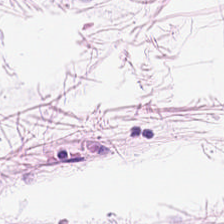Hematoxylin-and-eosin stained section · whole-slide-image patch — Impression → adipose tissue.
